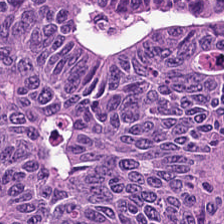Hematoxylin-and-eosin stained section. FFPE.
The tissue here is adenocarcinoma.
